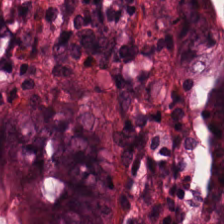H&E patch showing benign colonic mucosa.
